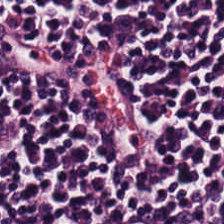{"tissue_type": "lymphoid infiltrate"}
